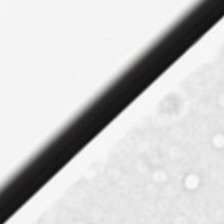Histology — empty background.
